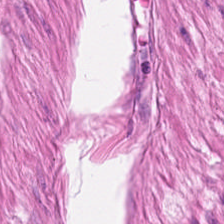Hematoxylin and eosin — Finding — muscularis.
